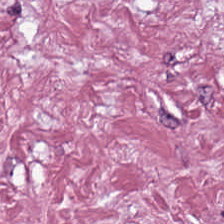H&E-stained tissue section. Finding → tumor-associated stroma.
